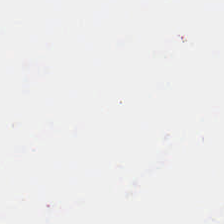Hematoxylin and eosin. Classification: background.
